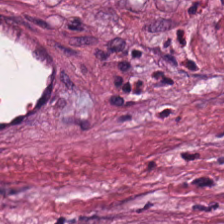FFPE tissue section · H&E · brightfield microscopy. Classification = tumor-associated stroma.
